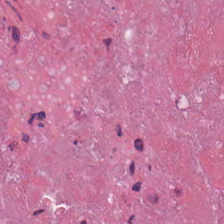H&E-stained tissue section. Predominant tissue — necrotic debris.
